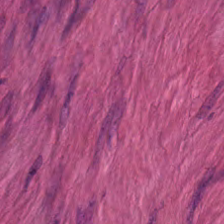H&E stain. Predominant tissue: smooth muscle.
